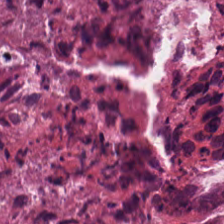Hematoxylin and eosin — Debris.
